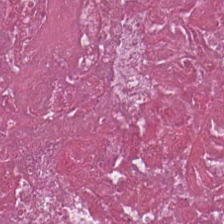Finding — debris.
